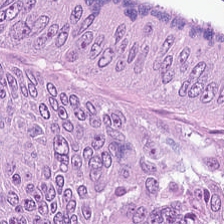Stain: H&E stain.
Predominant tissue: adenocarcinoma.
